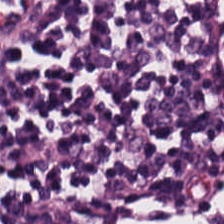The predominant tissue is lymphoid infiltrate.
